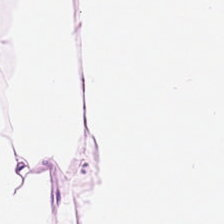Tissue class — adipose.
